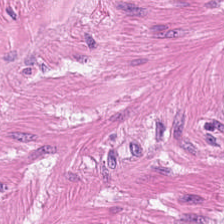Classification: muscularis.
